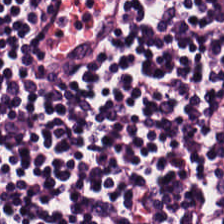H&E stain.
The tissue class is lymphocyte aggregate.
